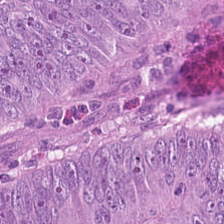Hematoxylin-and-eosin stained section.
Histology → colorectal adenocarcinoma epithelium.
